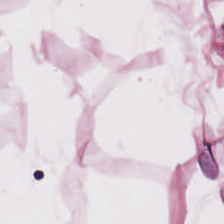The predominant tissue is adipose.
